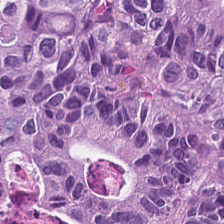H&E-stained tissue section.
Predominant tissue: tumor epithelium.
